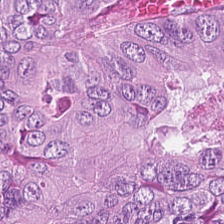0.5 µm/px; FFPE tissue section; H&E stain.
The predominant tissue is colorectal adenocarcinoma epithelium.
